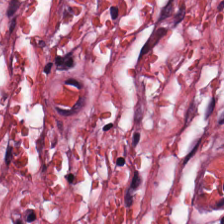H&E stain — Tissue class — cancer-associated stroma.
